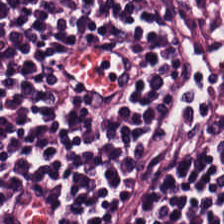Hematoxylin and eosin · formalin-fixed paraffin-embedded section. This field is lymphocytes.
